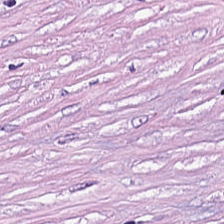224×224 px tile; hematoxylin and eosin. Desmoplastic stroma.
